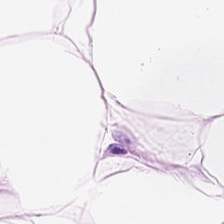Hematoxylin and eosin.
Predominantly fat tissue.
